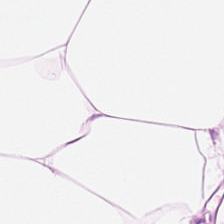H&E-stained tissue section — Tissue type: adipose tissue.
